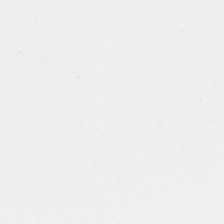224×224 pixel tile · H&E — This field is background (no tissue).
